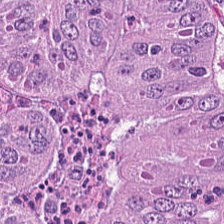H&E-stained tissue section. This patch shows colorectal adenocarcinoma.
